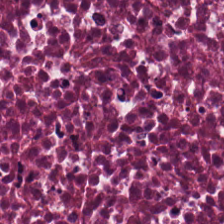0.5 µm/px. Hematoxylin-and-eosin stained section. FFPE — Necrotic debris.
